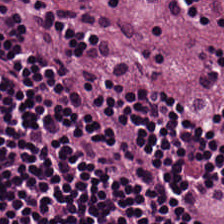Hematoxylin and eosin — The tissue class is lymphocytic infiltrate.
